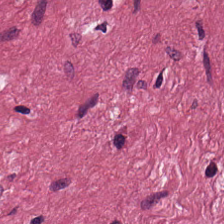H&E-stained tissue section.
The tissue class is tumor-associated stroma.
